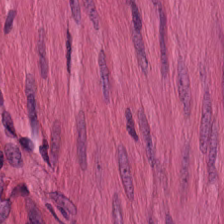H&E — Histology → muscularis.
